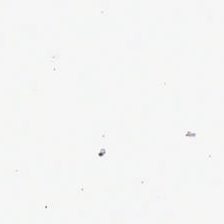224×224 pixel tile · H&E stain · FFPE.
No tissue present; background only.
